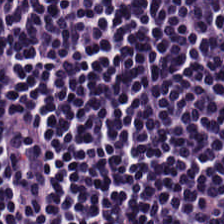Stain: H&E.
Tissue type: lymphocytes.
